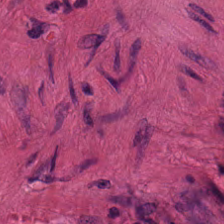Hematoxylin-and-eosin stained section. FFPE tissue section.
Tissue class — smooth-muscle tissue.
